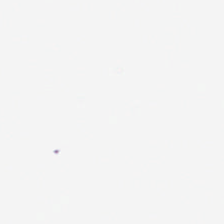FFPE · hematoxylin-and-eosin stained section · WSI patch. The field content is no tissue.
